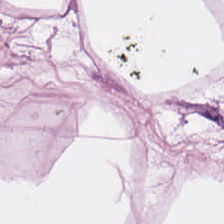224×224 px tile · H&E stain. Histology — adipose.
